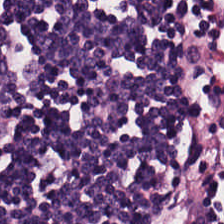0.5 microns per pixel · H&E.
The predominant tissue is lymphocytic infiltrate.
